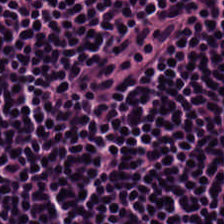H&E-stained tissue section. Finding — lymphocytes.
